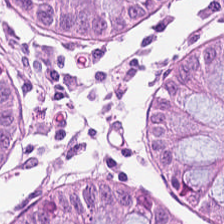H&E stain — Q: What tissue is shown?
A: This is normal colonic mucosa.
